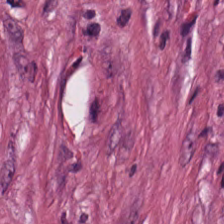224×224 px patch; brightfield; H&E.
Tissue class = desmoplastic stroma.
